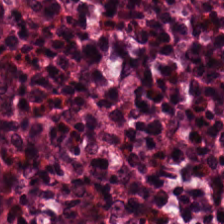H&E · 0.5 µm per pixel.
Q: What does this patch show?
A: This is non-neoplastic colon mucosa.
